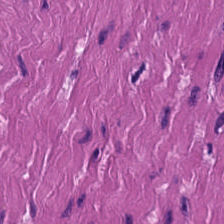H&E · 224×224 px tile.
{"tissue_type": "smooth muscle"}
